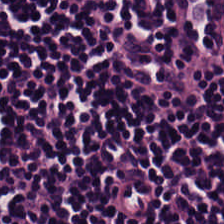224×224 pixel tile. WSI patch. Hematoxylin and eosin. Showing lymphocytic infiltrate.
